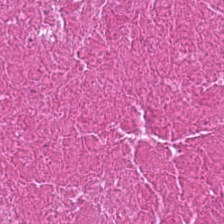H&E stain.
This field is necrotic debris.
